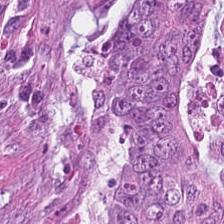H&E stain. 224×224 px patch. Histology — colorectal adenocarcinoma.
